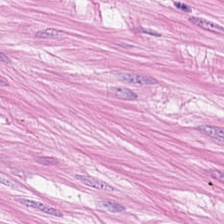H&E stain.
Predominantly smooth-muscle tissue.
